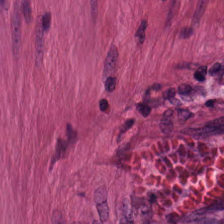H&E · 0.5 µm/px.
Showing smooth-muscle tissue.
